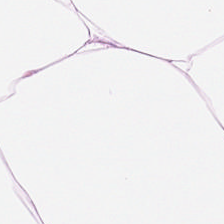H&E. 224×224 pixel tile. 0.5 µm per pixel — The tissue here is adipocytes.
